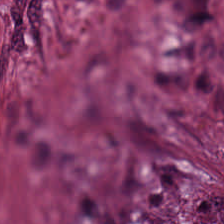FFPE tissue section. H&E-stained tissue section. 224×224 px tile. Tissue = desmoplastic stroma.
